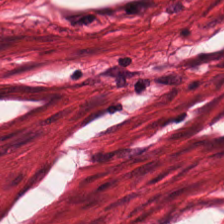H&E-stained tissue section; brightfield microscopy; FFPE tissue section.
Histology → muscularis.
